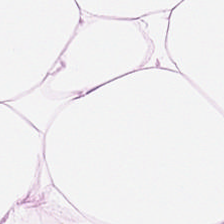H&E — {"tissue_type": "adipocytes"}
